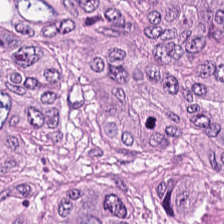224×224 px patch; H&E stain — This patch shows malignant epithelium.
